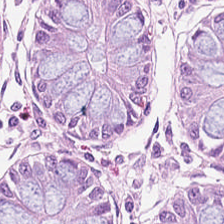Q: Identify the tissue.
A: This is benign colonic mucosa.
